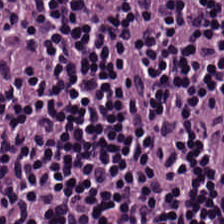H&E-stained tissue section showing lymphoid infiltrate.
